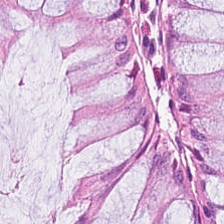Predominant tissue = non-neoplastic colon mucosa.
